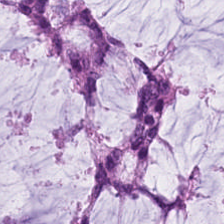H&E-stained section; the field shows mucus.
